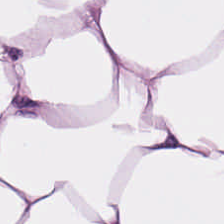Hematoxylin and eosin.
Q: What does this patch show?
A: It is fat tissue.
